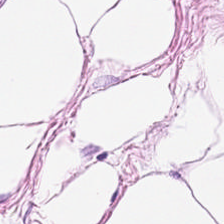H&E-stained tissue section — The tissue here is adipocytes.
